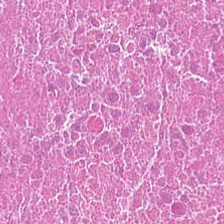Hematoxylin-and-eosin stained section.
Predominant tissue: debris.
